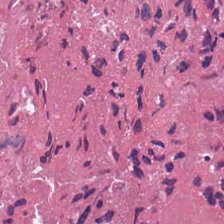H&E — debris.
